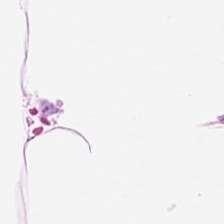H&E — fat tissue.
